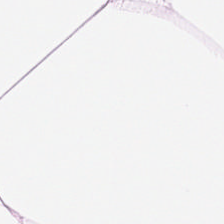Q: What is the predominant tissue type?
A: The field shows adipocytes.
